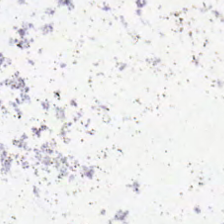Hematoxylin and eosin; 224×224 px patch — This field is background (no tissue).
